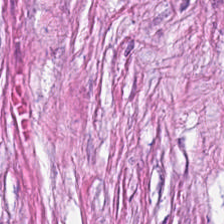Hematoxylin and eosin · formalin-fixed paraffin-embedded section. Finding — tumor-associated stroma.
